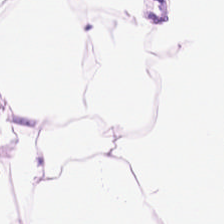Hematoxylin-and-eosin stained section. Predominant tissue: adipose.
